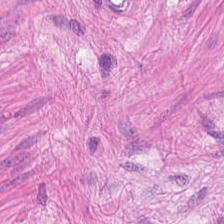Hematoxylin-and-eosin stained section — The tissue here is muscularis.
